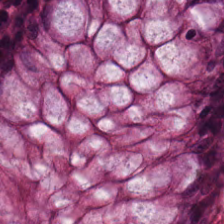WSI patch; hematoxylin and eosin — Q: What does this patch show?
A: This is normal colon mucosa.
